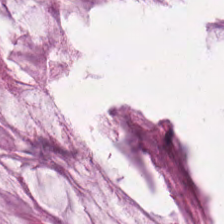Histology — mucin.
